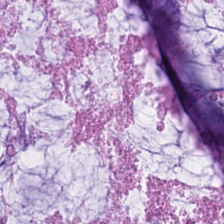Stain: hematoxylin and eosin.
Acquisition: whole-slide-image patch.
Tissue: mucin.
